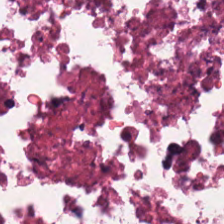H&E-stained tissue section. 224×224 px tile — The predominant tissue is necrotic debris.
